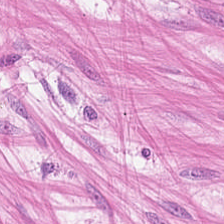The tissue class is smooth muscle.
